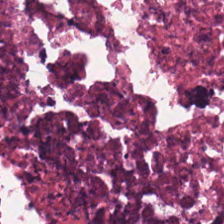FFPE tissue section. Whole-slide-image patch. Hematoxylin and eosin. Tissue type: cellular debris.
